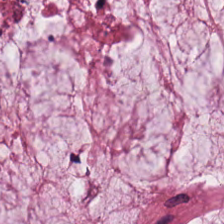H&E stain; FFPE tissue section; 224×224 pixel tile — Tissue — mucus.
